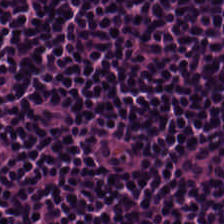{"tissue_type": "lymphocytic infiltrate"}
